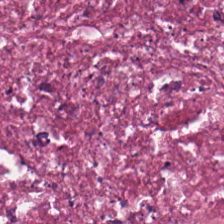H&E-stained tissue section.
Q: What type of tissue is this?
A: Debris.
